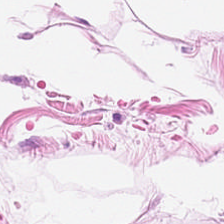Hematoxylin-and-eosin stained section · 224×224 pixel tile — {"tissue_type": "adipose"}
